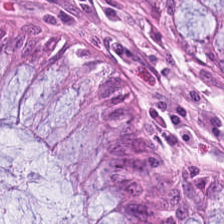0.5 µm/px. Whole-slide-image patch. Hematoxylin and eosin — The tissue here is non-neoplastic colon mucosa.
